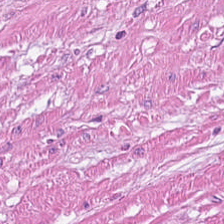The tissue here is smooth muscle.
